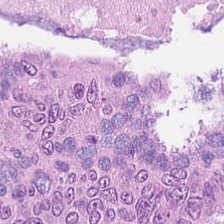Impression → malignant epithelium.
